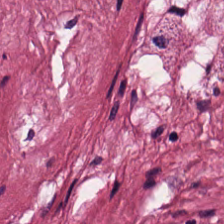Whole-slide-image patch · H&E.
The tissue here is tumor stroma.
